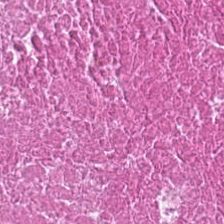H&E stain — {"tissue_type": "necrotic debris"}
